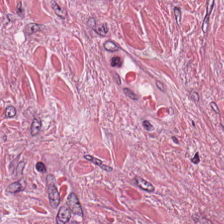H&E stain.
{"tissue_type": "tumor-associated stroma"}
